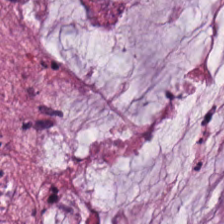Histology → mucus.
